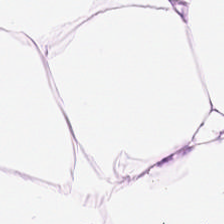Stain: hematoxylin-and-eosin stained section.
Tissue type: adipose.
